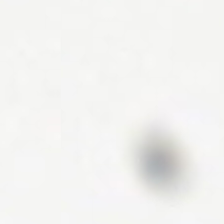H&E stain — Q: What does this patch show?
A: Empty background.
